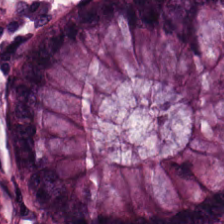Hematoxylin-and-eosin stained section · 224×224 pixel tile · 0.5 microns per pixel.
The predominant tissue is normal colon mucosa.
